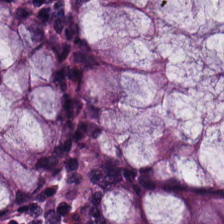0.5 µm per pixel; hematoxylin and eosin.
Q: What tissue is shown?
A: The field shows benign colonic mucosa.
